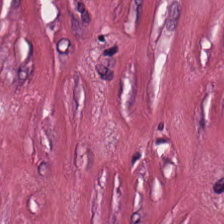224×224 px tile. FFPE tissue section. H&E stain. This field is desmoplastic stroma.
